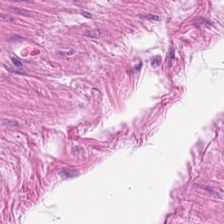Tissue type: smooth-muscle tissue.
